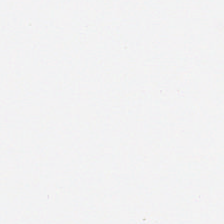H&E.
Q: What does this patch show?
A: Background (no tissue).
